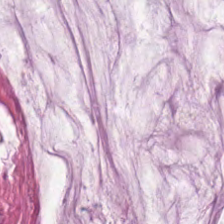Finding — mucin.
